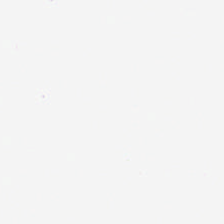Hematoxylin-and-eosin stained section · 20× equivalent magnification — Field content — no tissue.
